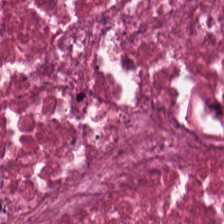Formalin-fixed paraffin-embedded section; hematoxylin and eosin; 224×224 px patch.
Tissue = debris.
